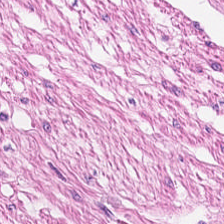0.5 microns per pixel · hematoxylin and eosin.
Q: What type of tissue is this?
A: The field shows muscularis.
